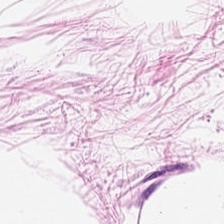Hematoxylin-and-eosin stained section.
Impression → adipocytes.
